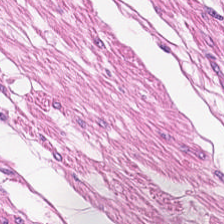H&E-stained tissue section.
Muscularis.
